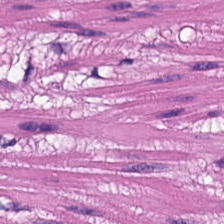H&E patch showing smooth-muscle tissue.
